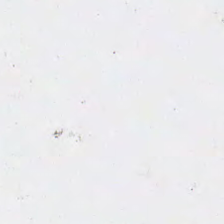224×224 px patch · brightfield microscopy · hematoxylin and eosin — Q: Classify this patch.
A: The field shows background.
